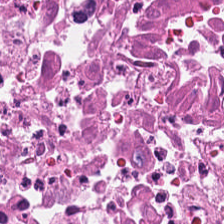0.5 µm/px · hematoxylin and eosin — Finding — debris.
